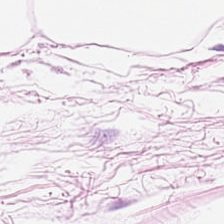Stain: H&E stain.
Resolution: 0.5 µm per pixel.
Tissue: adipose tissue.
